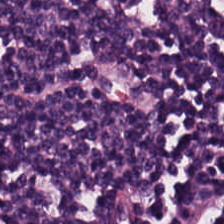H&E — {"tissue_type": "lymphocytic infiltrate"}
